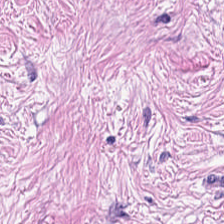H&E — desmoplastic stroma.
